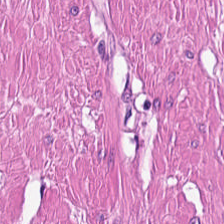Tissue class: smooth-muscle tissue.
